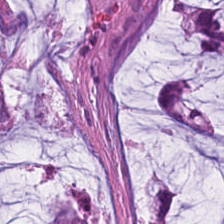Stain: H&E-stained tissue section.
Predominant tissue: mucus.
